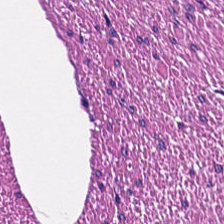Stain: hematoxylin-and-eosin stained section.
Preparation: FFPE.
Classification: muscularis.
